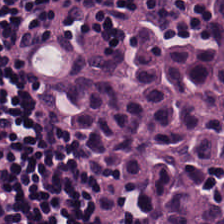Hematoxylin and eosin.
Q: What is shown here?
A: The field shows lymphoid infiltrate.
